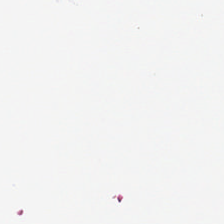WSI patch; 0.5 microns per pixel; H&E stain — Field content — empty background.
